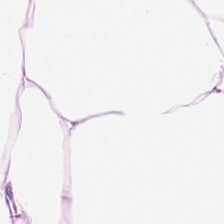H&E — fat tissue.
